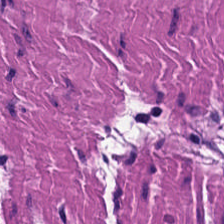The classification is muscularis.
